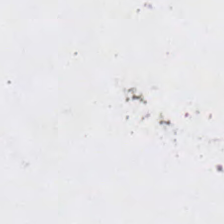Field content: background.
